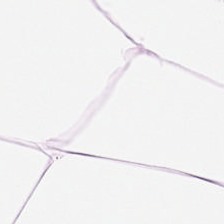20× equivalent magnification · hematoxylin and eosin.
Q: Identify the tissue.
A: This is adipocytes.
